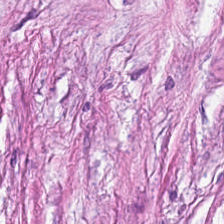H&E-stained section; the field shows tumor-associated stroma.
